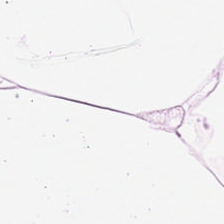The classification is adipocytes.
